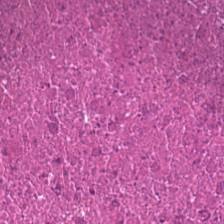224×224 pixel tile; hematoxylin-and-eosin stained section. The tissue here is debris.
